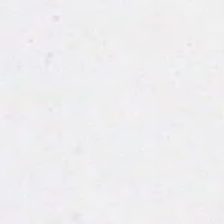Hematoxylin and eosin. Q: What does this patch show?
A: It is empty background.
